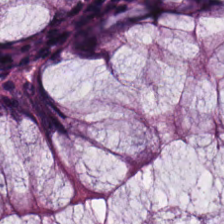Hematoxylin-and-eosin stained section.
Classification — non-neoplastic colon mucosa.
